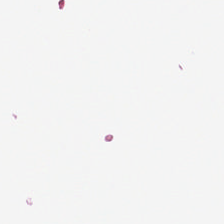Empty background.
